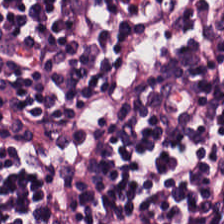H&E stain. The classification is lymphocyte aggregate.
